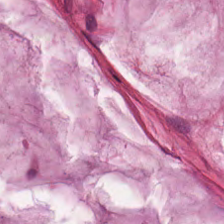WSI patch; 224×224 px patch; H&E-stained tissue section.
{"tissue_type": "extracellular mucin"}
